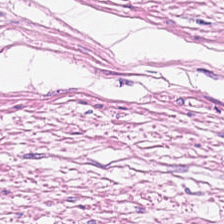Hematoxylin and eosin. FFPE.
Histology → muscularis.
